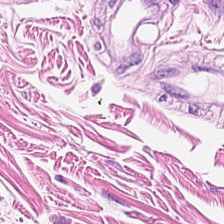Tissue — muscularis.
